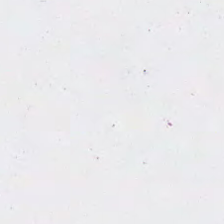Impression → empty background.
